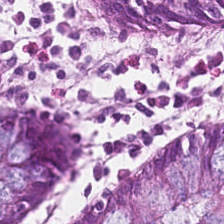H&E. The tissue here is non-neoplastic colon mucosa.
